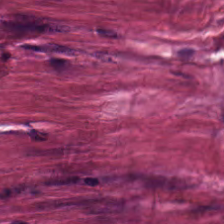Hematoxylin-and-eosin stained section. 0.5 µm per pixel — Predominantly tumor-associated stroma.
